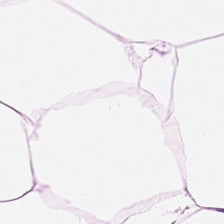Hematoxylin-and-eosin stained section; whole-slide-image patch; formalin-fixed paraffin-embedded section. Q: What tissue type is shown here?
A: The field shows adipocytes.
